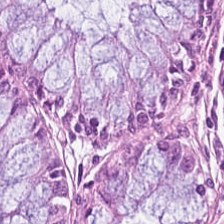H&E patch showing normal colon mucosa.
